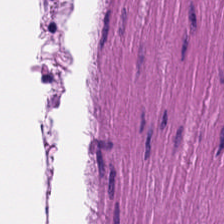H&E-stained section; the field shows muscularis.
